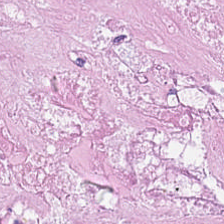{"tissue_type": "cellular debris"}
